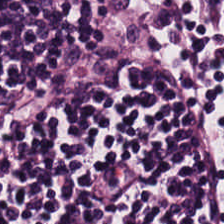This patch shows lymphoid infiltrate.
